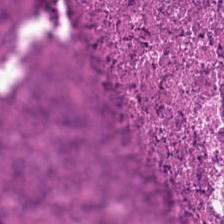H&E patch showing necrotic debris.
